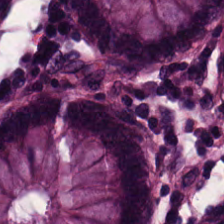H&E. WSI patch. 224×224 pixel tile.
{"tissue_type": "normal colonic mucosa"}
